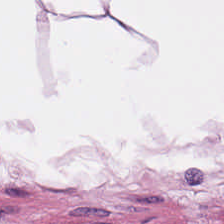Q: Identify the tissue.
A: It is adipose tissue.
